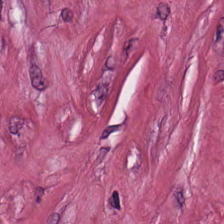20× equivalent magnification; hematoxylin-and-eosin stained section; 224×224 px tile — The tissue type is tumor-associated stroma.
